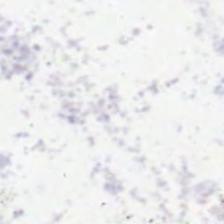Stain: H&E.
Tile size: 224×224 px patch.
Resolution: 0.5 µm/px.
Content: background.
